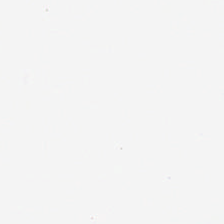H&E. 20× equivalent magnification — This patch shows background (no tissue).
